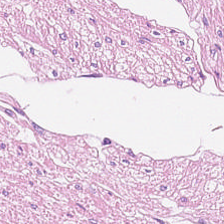224×224 px patch · H&E stain. Q: What tissue is shown?
A: Smooth muscle.
